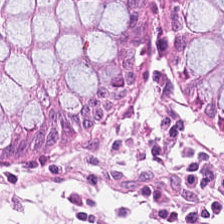H&E-stained tissue section. Classification = non-neoplastic colon mucosa.
